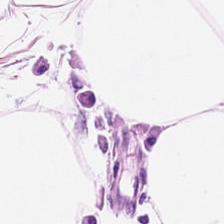Hematoxylin and eosin. WSI patch. 224×224 pixel tile.
Tissue class — adipose.
